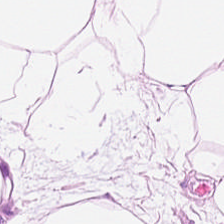Brightfield microscopy. FFPE tissue section. H&E stain — Q: Identify the tissue.
A: Adipose.
